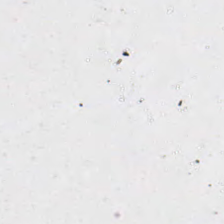H&E stain; 224×224 px patch; brightfield microscopy.
Field content — empty background.
